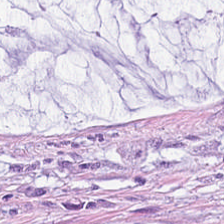Q: What is shown in this field?
A: Mucus.
